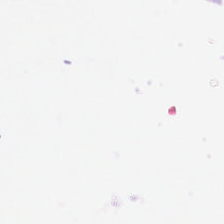Hematoxylin and eosin — Q: What is shown here?
A: Empty background.
